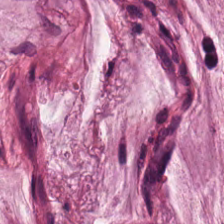Q: Identify the tissue.
A: It is mucus.
